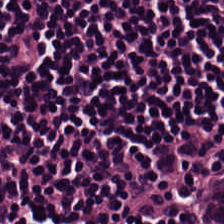H&E stain.
Showing lymphocytic infiltrate.
